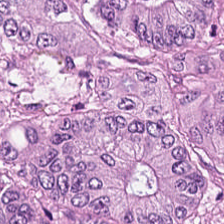H&E stain. The predominant tissue is colorectal adenocarcinoma.
